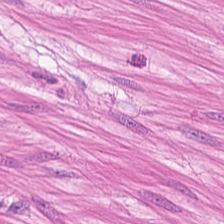Hematoxylin-and-eosin stained section. Q: What is shown in this field?
A: Muscularis.
